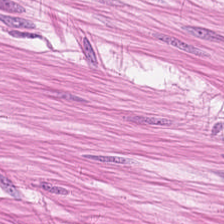0.5 microns per pixel; H&E stain — This patch shows smooth-muscle tissue.
